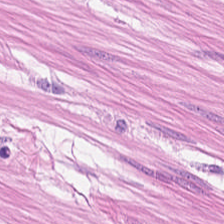Stain: hematoxylin and eosin.
Tissue class: smooth-muscle tissue.
